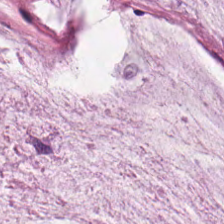H&E stain — Mucus.
